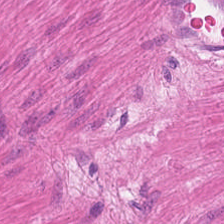20× equivalent magnification. H&E-stained tissue section.
Tissue — smooth muscle.
